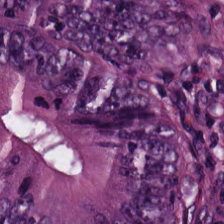H&E — Histology → adenocarcinoma.
